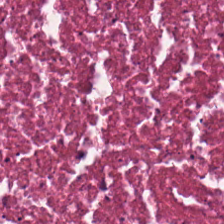This patch shows debris.
